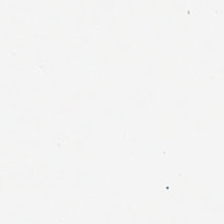Stain: H&E-stained tissue section.
Content: background (no tissue).
